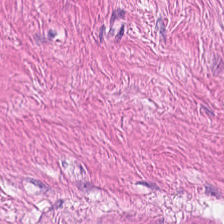Hematoxylin-and-eosin stained section · 0.5 microns per pixel.
Q: What tissue type is shown here?
A: The field shows smooth-muscle tissue.
